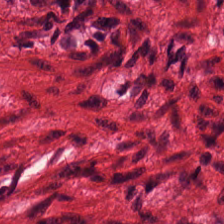H&E stain.
Classification: smooth muscle.
